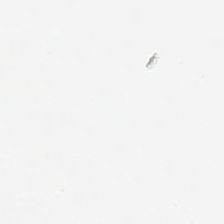Q: What is shown here?
A: The field shows empty background.
